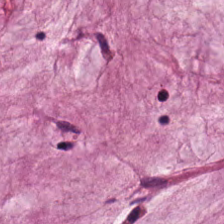Hematoxylin and eosin.
Q: What is shown in this field?
A: The field shows mucus.
